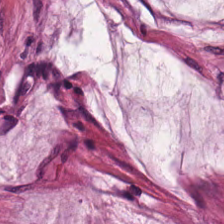Predominantly extracellular mucin.
